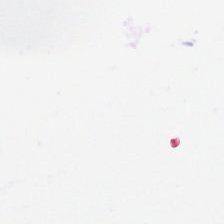Background (no tissue).
